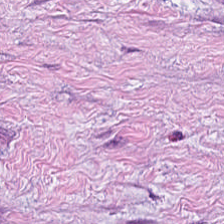Hematoxylin-and-eosin stained section. 20× equivalent magnification. Brightfield.
This patch shows desmoplastic stroma.
